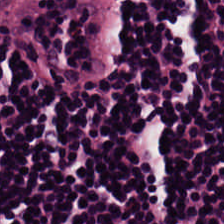Hematoxylin-and-eosin stained section.
Tissue type: lymphocytic infiltrate.
